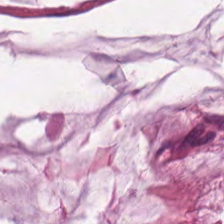FFPE. Hematoxylin-and-eosin stained section.
This field is extracellular mucin.
